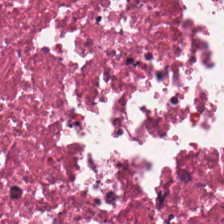Histology → cellular debris.
